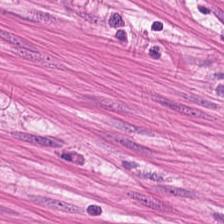Hematoxylin-and-eosin stained section. This patch shows smooth-muscle tissue.
